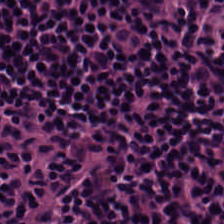H&E stain — Tissue type — lymphocyte aggregate.
